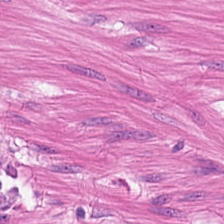224×224 px patch · H&E-stained tissue section. Tissue — muscularis.
